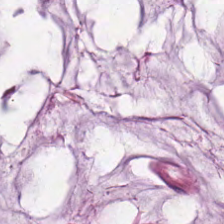Hematoxylin and eosin. Tissue type — extracellular mucin.
